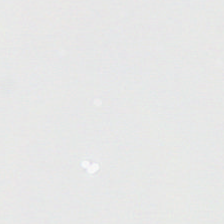No tissue present; background only.
